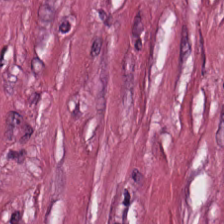Formalin-fixed paraffin-embedded section; H&E; 224×224 px tile — Tissue: tumor stroma.
